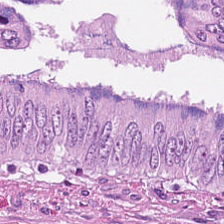H&E stain; 0.5 µm/px; 224×224 px tile.
This patch shows tumor epithelium.
